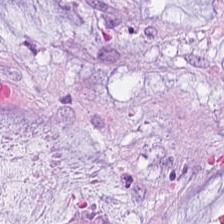Stain: H&E.
Tissue class: mucin.
